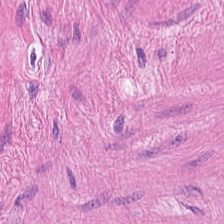Smooth-muscle tissue.
